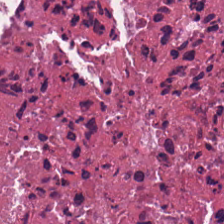Predominant tissue = necrotic debris.
